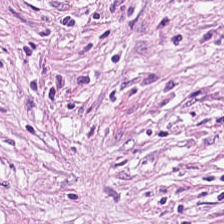Stain: H&E.
Predominant tissue: desmoplastic stroma.
